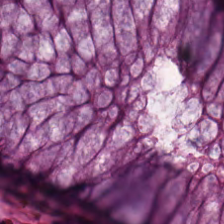Hematoxylin and eosin — Finding → normal colonic mucosa.
